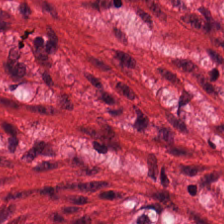H&E stain — Showing muscularis.
